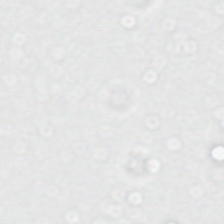WSI patch; 224×224 px tile; H&E stain — {"content": "background"}
